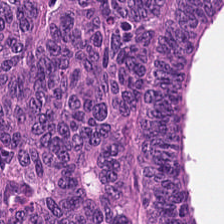H&E — This patch shows colorectal adenocarcinoma epithelium.
